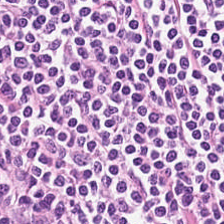H&E stain · 0.5 µm/px · brightfield microscopy — Lymphocytes.
